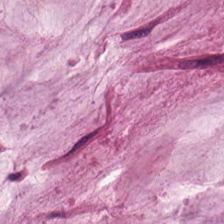Stain: H&E.
Acquisition: whole-slide-image patch.
Predominant tissue: mucus.
